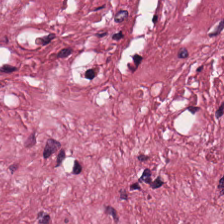Hematoxylin-and-eosin stained section. Histology → tumor-associated stroma.
